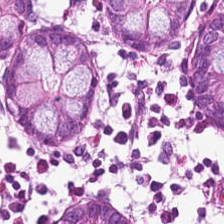H&E stain — Showing non-neoplastic colon mucosa.
